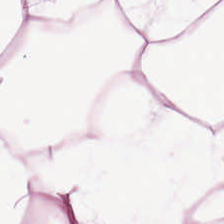H&E stain — Adipose tissue.
